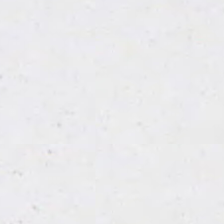Stain: hematoxylin and eosin.
Classification: empty background.
